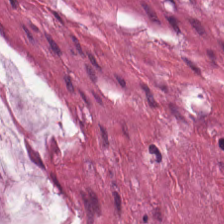224×224 px patch. H&E-stained tissue section. The tissue here is mucin.
